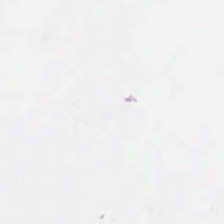H&E. The classification is background.
